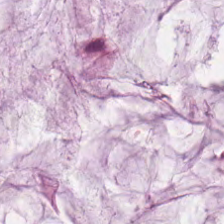Hematoxylin-and-eosin stained section. {"tissue_type": "mucus"}
